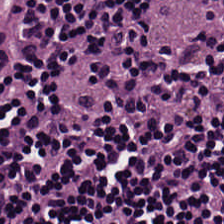Stain: hematoxylin-and-eosin stained section.
Predominant tissue: lymphocyte aggregate.
